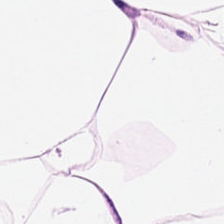Hematoxylin-and-eosin stained section. Classification = adipocytes.
